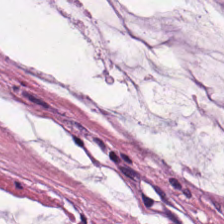Stain: hematoxylin and eosin.
Tissue: mucus.
